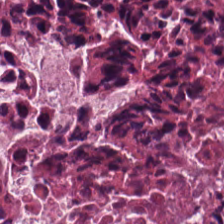Brightfield microscopy · H&E. Tissue class = debris.
